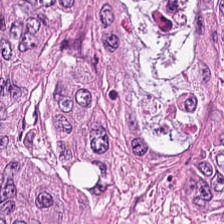Whole-slide-image patch. Formalin-fixed paraffin-embedded section. Hematoxylin and eosin. Tissue class = tumor epithelium.
